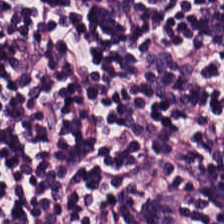Stain: hematoxylin and eosin.
Acquisition: brightfield microscopy.
Tissue type: lymphocyte aggregate.
